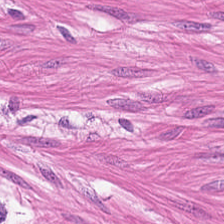Q: What is shown in this field?
A: The field shows smooth muscle.
